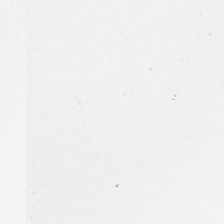Stain: hematoxylin and eosin.
Content: background (no tissue).
